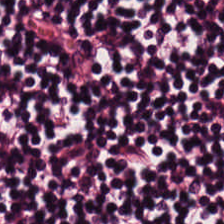Hematoxylin and eosin; FFPE; 0.5 µm per pixel — Classification — lymphoid infiltrate.
